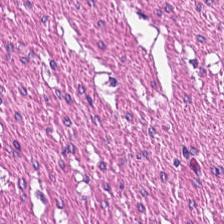H&E stain. Predominant tissue — smooth muscle.
